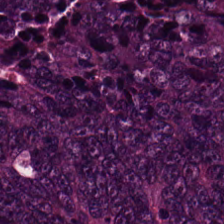H&E stain. 0.5 µm per pixel. Q: What type of tissue is this?
A: This is colorectal adenocarcinoma epithelium.
